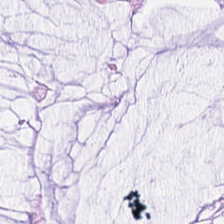Hematoxylin and eosin. The tissue here is mucus.
